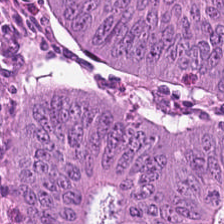H&E — Tissue type = adenocarcinoma.
